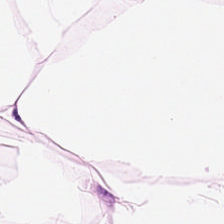H&E-stained tissue section · FFPE.
The tissue here is adipose.
